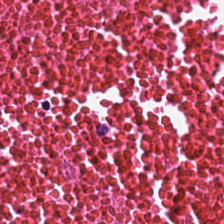Hematoxylin-and-eosin stained section. The tissue class is cellular debris.
